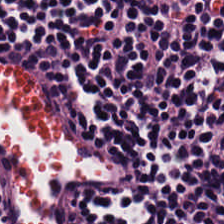Hematoxylin and eosin.
This field is lymphoid infiltrate.
